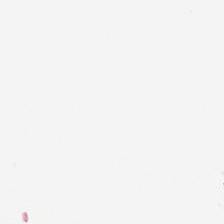This patch shows no tissue.
